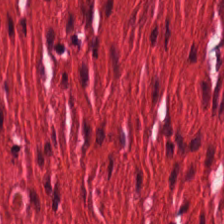H&E-stained tissue section. This patch shows smooth-muscle tissue.
